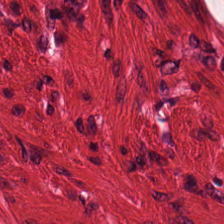Histology → smooth muscle.
